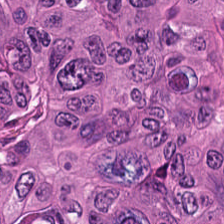Hematoxylin-and-eosin stained section · whole-slide-image patch.
Tissue type: malignant epithelium.
